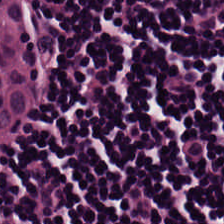Hematoxylin-and-eosin stained section — The classification is lymphocytic infiltrate.
